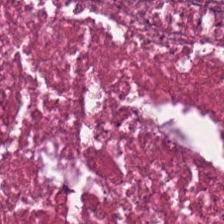H&E stain.
This patch shows cellular debris.
